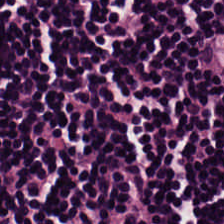0.5 µm/px · H&E stain — Q: What type of tissue is this?
A: This is lymphocytes.
